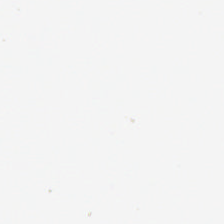Hematoxylin and eosin. Impression — empty background.
